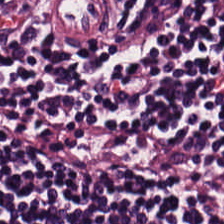Q: Identify the tissue.
A: It is lymphocytic infiltrate.
